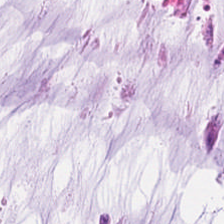H&E stain. {"tissue_type": "mucus"}
